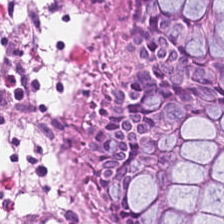Hematoxylin-and-eosin stained section · 224×224 px tile.
The tissue here is normal colon mucosa.
